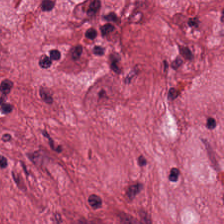Hematoxylin and eosin.
This field is cancer-associated stroma.
